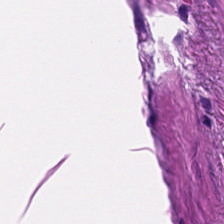Stain: hematoxylin-and-eosin stained section.
Tissue: smooth muscle.
